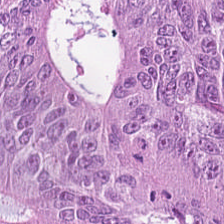{"tissue_type": "colorectal adenocarcinoma"}
